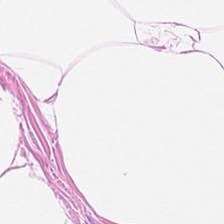Stain: H&E.
Acquisition: brightfield.
Classification: adipose tissue.
